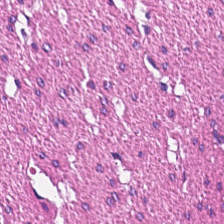H&E stain. Predominant tissue = smooth muscle.
